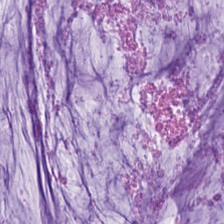FFPE tissue section · H&E.
Tissue type — extracellular mucin.
